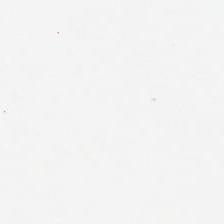Finding → empty background.
